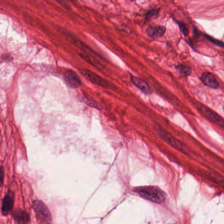Stain: H&E stain.
Acquisition: WSI patch.
Classification: smooth-muscle tissue.
